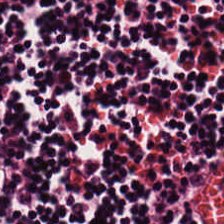0.5 µm per pixel; H&E-stained tissue section — Impression → lymphocytic infiltrate.
